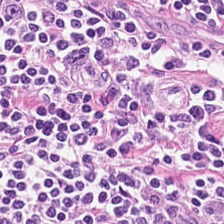The tissue is lymphoid infiltrate.
